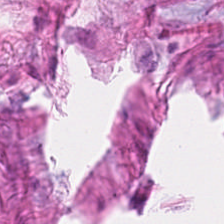H&E patch showing tumor-associated stroma.
